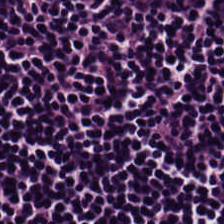H&E stain.
Q: What type of tissue is this?
A: The field shows lymphocytic infiltrate.
